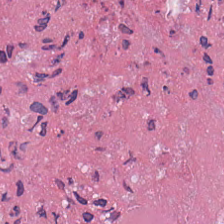WSI patch; H&E stain.
Predominantly debris.
